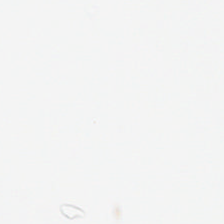H&E — No tissue present; background only.
